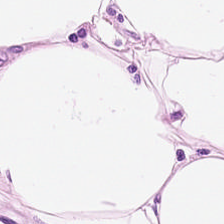H&E stain. Tissue type: adipose.
